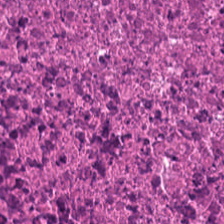H&E. Q: What tissue type is shown here?
A: Debris.
